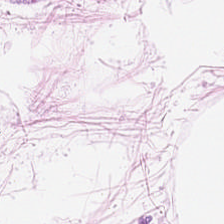H&E.
The tissue type is fat tissue.
